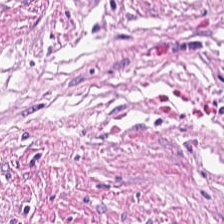Hematoxylin and eosin.
Predominant tissue = tumor-associated stroma.
